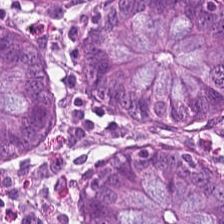H&E stain. Brightfield microscopy. FFPE — Finding → benign colonic mucosa.
